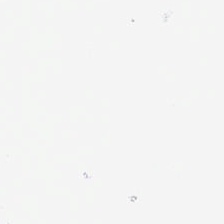Hematoxylin and eosin.
Background.
